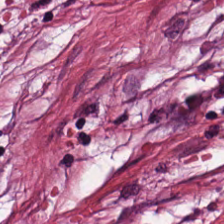H&E-stained tissue section — Q: What does this patch show?
A: It is tumor stroma.
